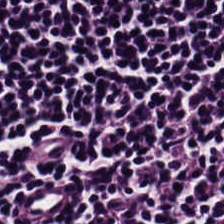Formalin-fixed paraffin-embedded section. 224×224 px patch. Hematoxylin and eosin — Q: Classify this patch.
A: Lymphocyte aggregate.
